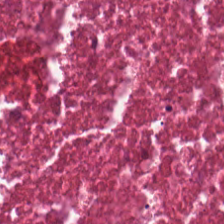Hematoxylin and eosin.
Impression — cellular debris.
